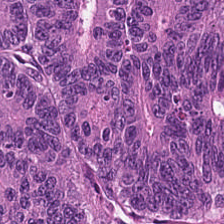Hematoxylin and eosin. FFPE. 0.5 µm/px. Predominantly colorectal adenocarcinoma epithelium.
